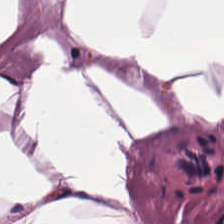Histology — adipose.
